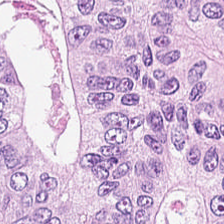Stain: H&E-stained tissue section.
Resolution: 20× equivalent magnification.
Preparation: formalin-fixed paraffin-embedded section.
Tissue type: adenocarcinoma.
